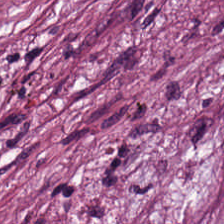224×224 pixel tile; H&E-stained tissue section.
The predominant tissue is cancer-associated stroma.
